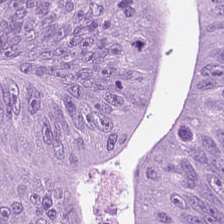Stain: hematoxylin and eosin.
Resolution: 0.5 µm/px.
Tissue type: colorectal adenocarcinoma.
